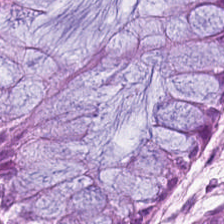H&E-stained tissue section. 224×224 px patch — Predominantly benign colonic mucosa.
